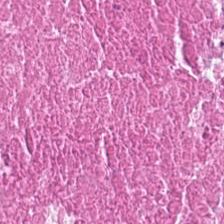H&E. FFPE.
This patch shows debris.
